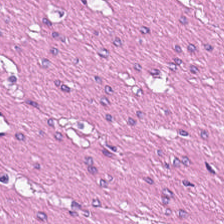Hematoxylin and eosin — This patch shows smooth muscle.
